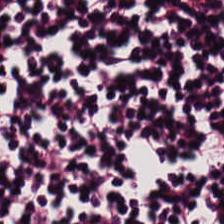Brightfield microscopy. H&E.
Predominant tissue = lymphocyte aggregate.
